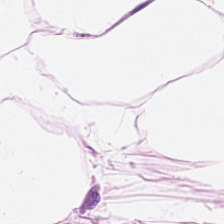Hematoxylin-and-eosin stained section.
The tissue is adipose tissue.
